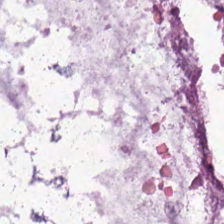Hematoxylin-and-eosin stained section — This field is mucus.
